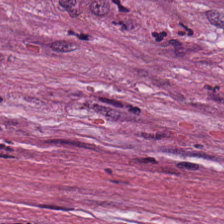Hematoxylin-and-eosin section: desmoplastic stroma.
